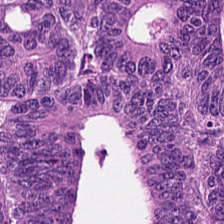{"tissue_type": "malignant epithelium"}
